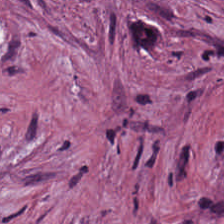H&E.
Q: Classify this patch.
A: This is tumor-associated stroma.
